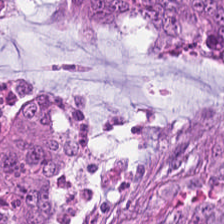H&E stain · 0.5 microns per pixel. Q: What is shown in this field?
A: Colorectal adenocarcinoma.
